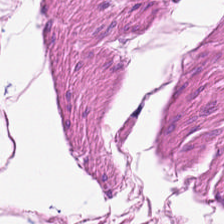Stain: H&E-stained tissue section.
Acquisition: brightfield.
Tile size: 224×224 px tile.
Classification: muscularis.
